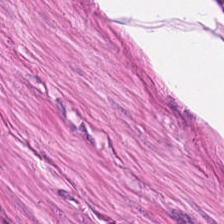H&E — This patch shows smooth-muscle tissue.
